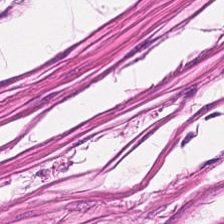0.5 µm per pixel; WSI patch; H&E — Predominantly muscularis.
